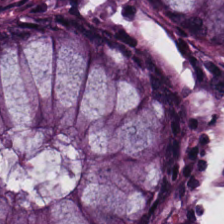0.5 µm/px. H&E — This patch shows normal colon mucosa.
